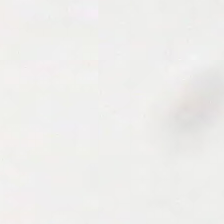FFPE · H&E stain · 224×224 px tile.
This patch shows background.
